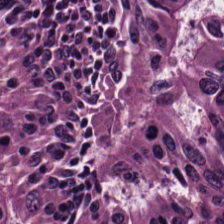Hematoxylin and eosin — Predominantly malignant epithelium.
